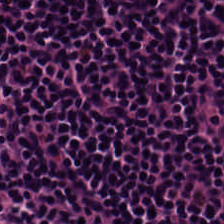224×224 px patch · hematoxylin-and-eosin stained section — Lymphocytes.
